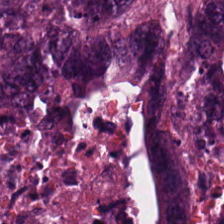Stain: H&E-stained tissue section.
Preparation: formalin-fixed paraffin-embedded section.
Tissue class: colorectal adenocarcinoma epithelium.
